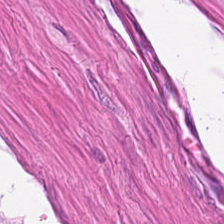0.5 µm/px · H&E. Histology — smooth-muscle tissue.
